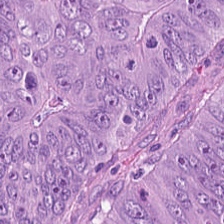Q: What tissue is shown?
A: This is malignant epithelium.
